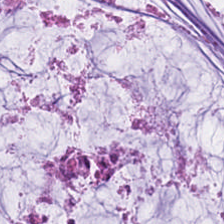H&E-stained section; the field shows extracellular mucin.
